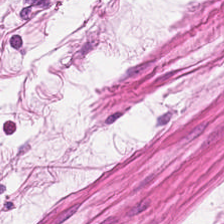H&E-stained tissue section · 0.5 µm per pixel · brightfield microscopy.
Tissue type = smooth muscle.
